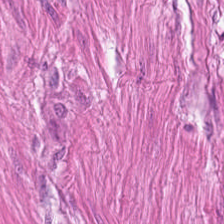Stain: H&E.
Tile size: 224×224 px tile.
Tissue type: smooth-muscle tissue.
